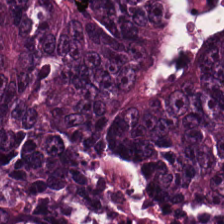Q: Identify the tissue.
A: It is colorectal adenocarcinoma.
